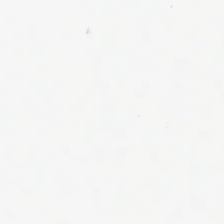Brightfield microscopy; 20× equivalent magnification; hematoxylin-and-eosin stained section — Q: Classify this patch.
A: The field shows background.
